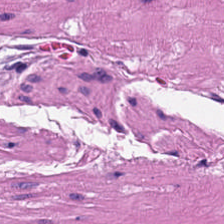224×224 px tile · 0.5 µm per pixel · hematoxylin-and-eosin stained section. {"tissue_type": "muscularis"}
